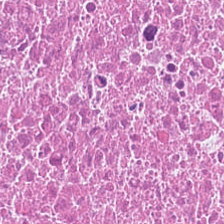This field is debris.
